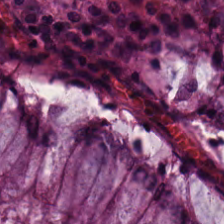The tissue is normal colonic mucosa.
